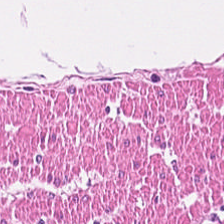FFPE tissue section; 0.5 µm per pixel; H&E stain. Showing smooth-muscle tissue.
